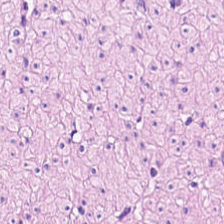H&E — The predominant tissue is muscularis.
